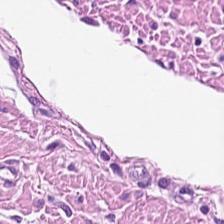H&E.
The predominant tissue is muscularis.
